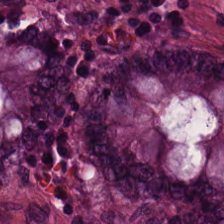224×224 px patch; H&E — Classification = normal colon mucosa.
